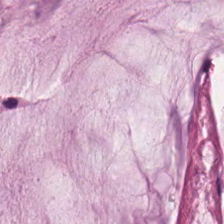Formalin-fixed paraffin-embedded section; hematoxylin-and-eosin stained section; 224×224 pixel tile — Predominant tissue = mucus.
